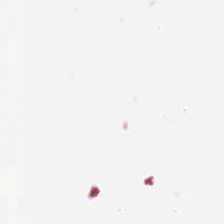Field content: background.
